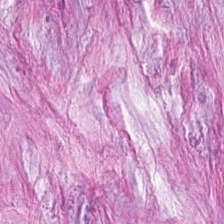Hematoxylin-and-eosin stained section.
Q: What tissue type is shown here?
A: Desmoplastic stroma.
